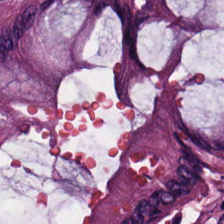Hematoxylin and eosin — This patch shows non-neoplastic colon mucosa.
